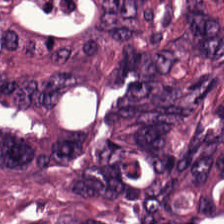Stain: hematoxylin and eosin.
Acquisition: brightfield microscopy.
Tile size: 224×224 px tile.
Tissue class: colorectal adenocarcinoma epithelium.
